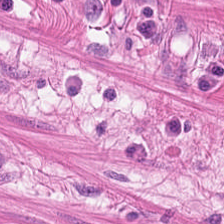H&E patch showing smooth muscle.
